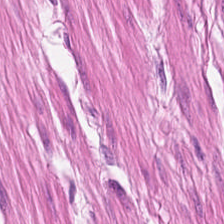Hematoxylin-and-eosin stained section — Tissue type — muscularis.
